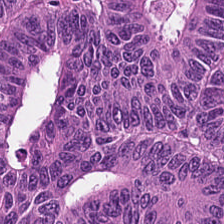224×224 pixel tile; H&E stain. This patch shows adenocarcinoma.
